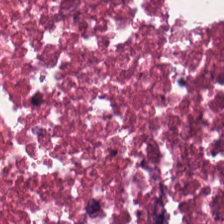Tissue: debris.
